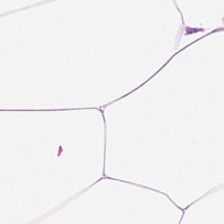The tissue here is adipose.
